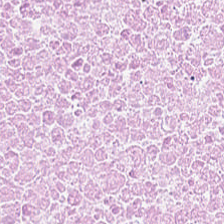H&E-stained tissue section showing cellular debris.
